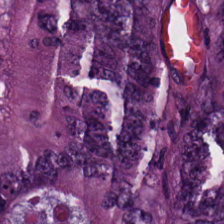H&E.
Showing malignant epithelium.
